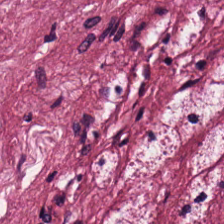H&E · 0.5 microns per pixel — Q: What is the predominant tissue type?
A: The field shows tumor stroma.
